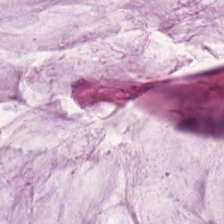FFPE tissue section; H&E.
{"tissue_type": "mucin"}
